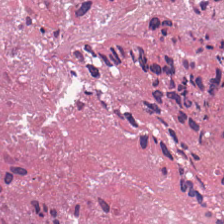Stain: H&E-stained tissue section.
Classification: cellular debris.
